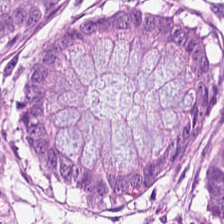Stain: hematoxylin-and-eosin stained section.
Tissue: non-neoplastic colon mucosa.
